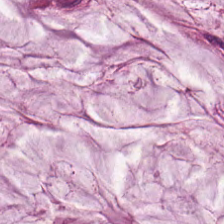H&E-stained tissue section. Impression — extracellular mucin.
